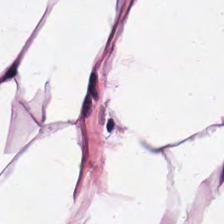Stain: H&E stain.
Tile size: 224×224 px tile.
Preparation: FFPE tissue section.
Tissue class: adipose.
